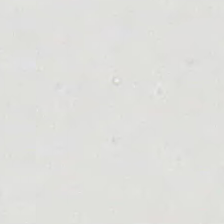Content — no tissue.
